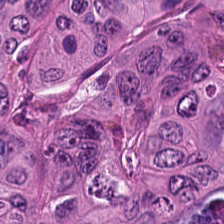Predominantly malignant epithelium.
